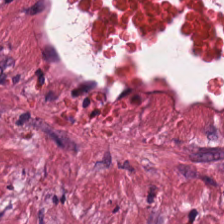Impression → tumor stroma.
